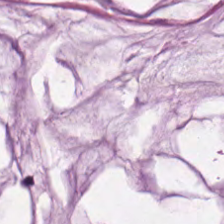Hematoxylin-and-eosin stained section — Tissue type = mucus.
